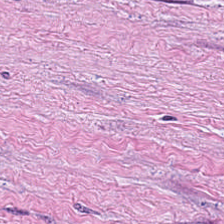Stain: H&E stain.
Tissue: tumor stroma.
